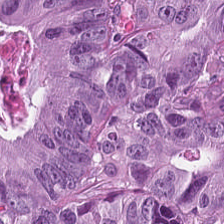Hematoxylin-and-eosin stained section — Q: What tissue is shown?
A: The field shows adenocarcinoma.
